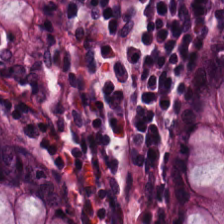Predominantly benign colonic mucosa.
